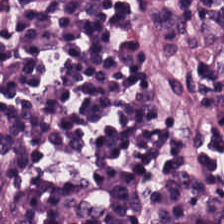Stain: hematoxylin-and-eosin stained section.
Tissue: lymphocyte aggregate.
